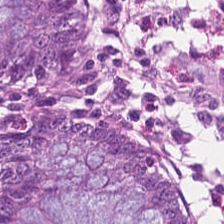H&E stain — Tissue class: benign colonic mucosa.
